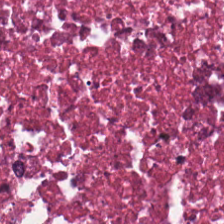Q: Classify this patch.
A: The field shows necrotic debris.
